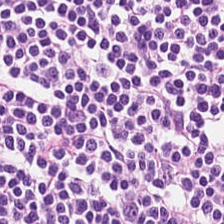H&E-stained tissue section — The tissue type is lymphocytic infiltrate.
